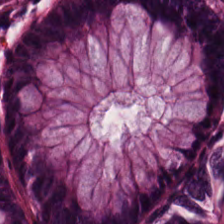224×224 px patch; H&E stain.
Q: What is shown here?
A: This is non-neoplastic colon mucosa.
